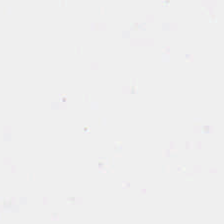H&E.
Histology → background (no tissue).
